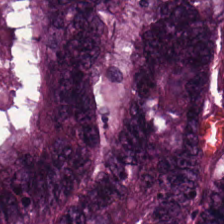Hematoxylin and eosin · 224×224 px tile.
Predominantly colorectal adenocarcinoma epithelium.
